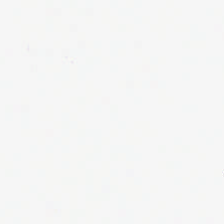224×224 pixel tile · H&E stain · FFPE — Background (no tissue).
